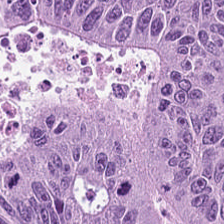H&E.
Histology → colorectal adenocarcinoma.
